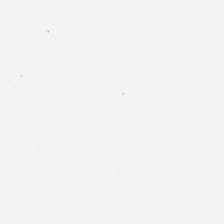H&E-stained tissue section · brightfield microscopy. The content is no tissue.
